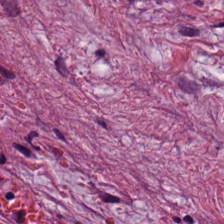Hematoxylin-and-eosin stained section.
The tissue here is tumor-associated stroma.
